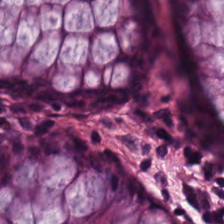H&E-stained tissue section; brightfield; 0.5 µm per pixel — This patch shows normal colonic mucosa.
